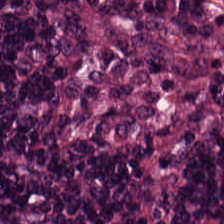224×224 px patch; H&E-stained tissue section; 0.5 µm/px.
The tissue class is lymphoid infiltrate.
